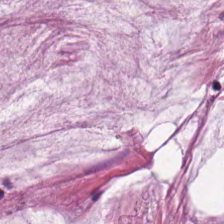224×224 pixel tile · 0.5 µm per pixel · H&E-stained tissue section. Tissue = mucin.
